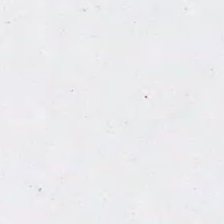0.5 µm/px; hematoxylin-and-eosin stained section — Empty background.
